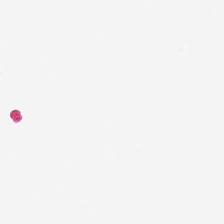Hematoxylin and eosin · whole-slide-image patch. Q: What does this patch show?
A: This is empty background.
